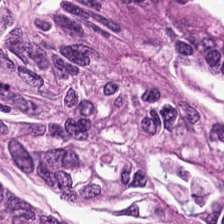H&E.
Q: What type of tissue is this?
A: Malignant epithelium.
